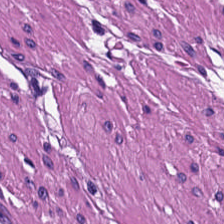Stain: hematoxylin-and-eosin stained section.
Tissue type: muscularis.
